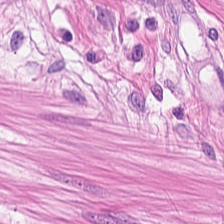H&E-stained tissue section; formalin-fixed paraffin-embedded section; 0.5 µm per pixel — This patch shows smooth-muscle tissue.
